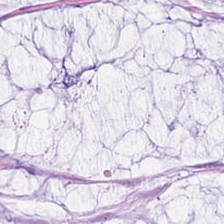H&E stain · FFPE tissue section. This field is extracellular mucin.
